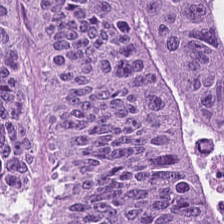Hematoxylin-and-eosin stained section.
The tissue here is colorectal adenocarcinoma.
